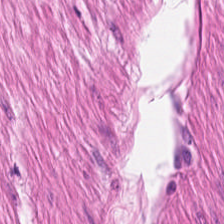Hematoxylin-and-eosin stained section — This patch shows smooth muscle.
